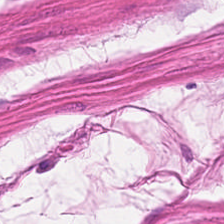H&E — The predominant tissue is smooth muscle.
